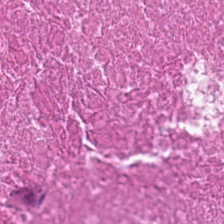Stain: H&E stain.
Classification: debris.
